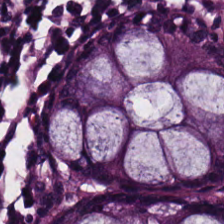Stain: H&E-stained tissue section.
Resolution: 0.5 µm per pixel.
Preparation: FFPE tissue section.
Tissue: normal colon mucosa.
